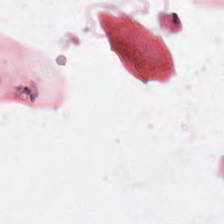20× equivalent magnification. Brightfield. H&E.
Field content: empty background.
